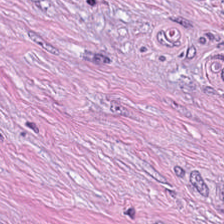Q: Classify this patch.
A: This is tumor stroma.
